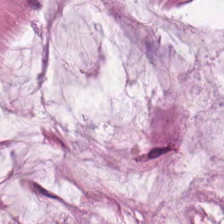H&E stain — Q: What is shown here?
A: Mucin.
